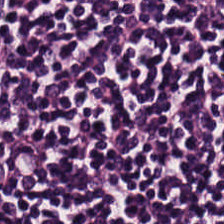{"tissue_type": "lymphocytes"}
